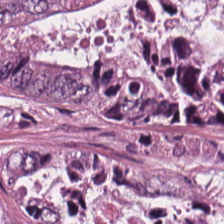Hematoxylin-and-eosin stained section.
The predominant tissue is colorectal adenocarcinoma.
